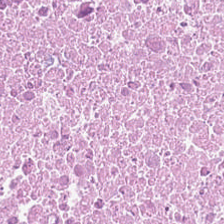H&E stain. 224×224 px patch.
Predominant tissue: debris.
